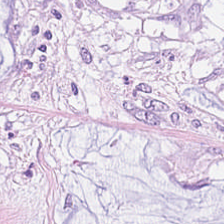Stain: H&E-stained tissue section.
Classification: mucus.
